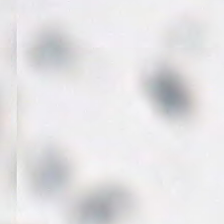Hematoxylin and eosin — This field is background (no tissue).
